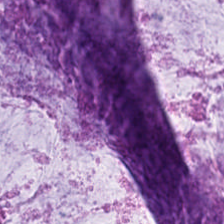H&E stain. 224×224 px tile. Mucus.
